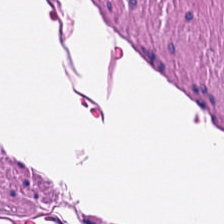Stain: hematoxylin and eosin.
Preparation: FFPE tissue section.
Resolution: 0.5 microns per pixel.
Classification: smooth muscle.
